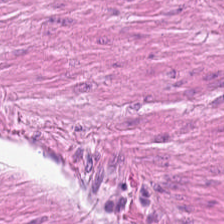Tissue: smooth muscle.
